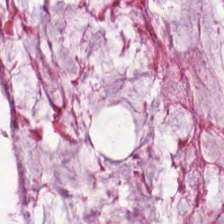Stain: H&E-stained tissue section.
Predominant tissue: mucin.
